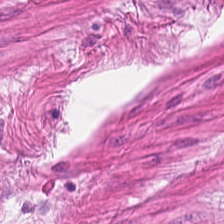20× equivalent magnification · hematoxylin-and-eosin stained section — Impression — smooth muscle.
